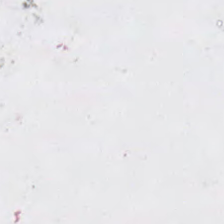Whole-slide-image patch; H&E; 224×224 pixel tile. The field content is no tissue.
